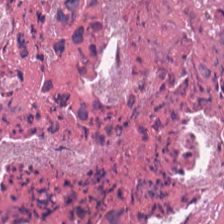H&E stain — Tissue: necrotic debris.
